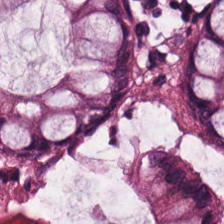Hematoxylin and eosin; 0.5 µm per pixel. The tissue class is normal colonic mucosa.
